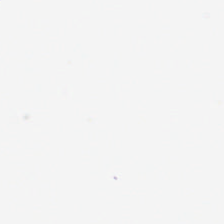H&E-stained tissue section.
Q: Classify this patch.
A: Empty background.
